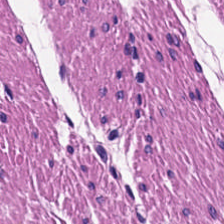Hematoxylin-and-eosin stained section. Predominantly smooth muscle.
